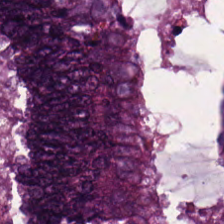H&E-stained tissue section; formalin-fixed paraffin-embedded section — The predominant tissue is malignant epithelium.
